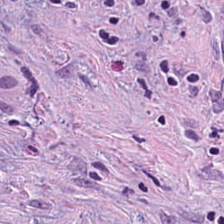H&E-stained tissue section. Finding — tumor stroma.
